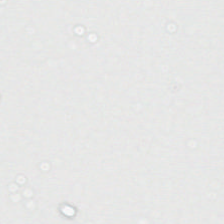H&E-stained tissue section · brightfield microscopy · 224×224 px patch — Classification — background (no tissue).
